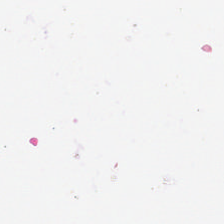H&E; 20× equivalent magnification.
This patch shows background (no tissue).
